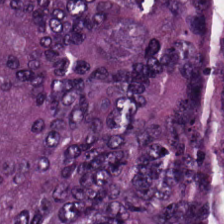Stain: hematoxylin and eosin.
Predominant tissue: colorectal adenocarcinoma.
